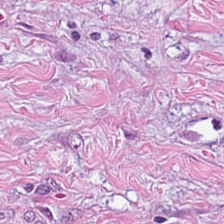H&E-stained tissue section. Q: What is shown here?
A: It is cancer-associated stroma.
